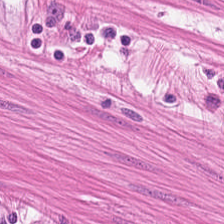Tissue = smooth muscle.
